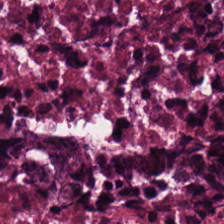H&E stain — Impression — cellular debris.
